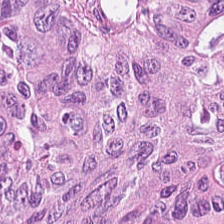H&E.
Q: What is the predominant tissue type?
A: It is colorectal adenocarcinoma epithelium.
